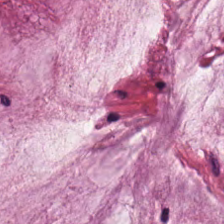H&E-stained tissue section — Classification: mucin.
